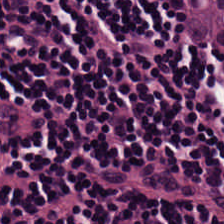Tissue class = lymphocytic infiltrate.
